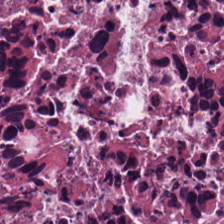The predominant tissue is necrotic debris.
